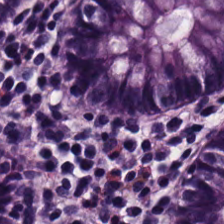Hematoxylin and eosin. This field is non-neoplastic colon mucosa.
